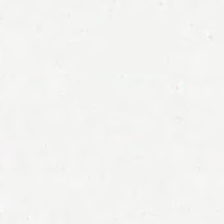H&E stain.
Field content — empty background.
